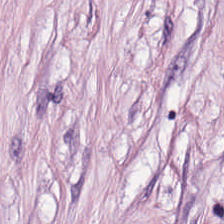H&E-stained section; the field shows tumor stroma.
